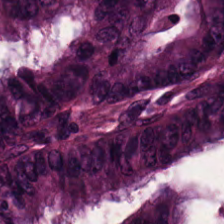Hematoxylin-and-eosin stained section.
Tissue type: malignant epithelium.
